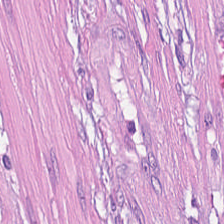H&E-stained tissue section — This field is desmoplastic stroma.
